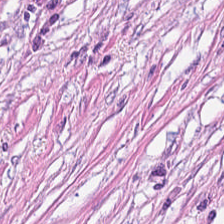H&E. The predominant tissue is desmoplastic stroma.
